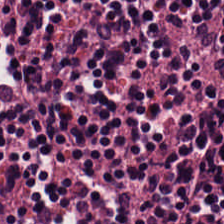H&E-stained tissue section; FFPE. Q: What tissue is shown?
A: The field shows lymphocyte aggregate.
